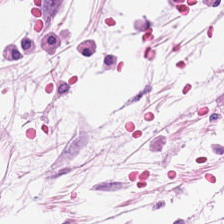H&E. Tissue: adipocytes.
